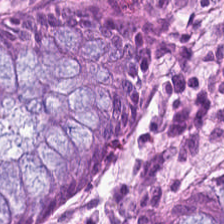0.5 µm per pixel; H&E stain.
This patch shows normal colon mucosa.
